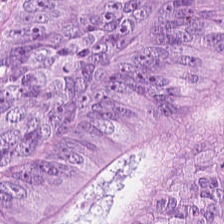H&E-stained tissue section — This field is colorectal adenocarcinoma epithelium.
